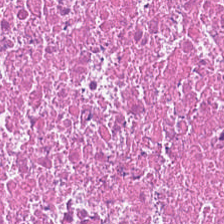Hematoxylin and eosin; whole-slide-image patch; FFPE tissue section — Predominant tissue = cellular debris.
